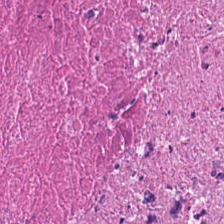Q: What tissue is shown?
A: It is necrotic debris.
